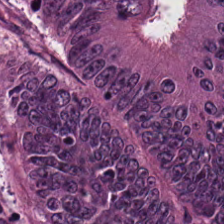H&E stain.
Predominant tissue — tumor epithelium.
